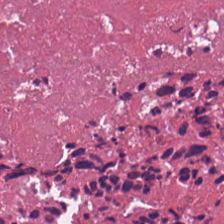WSI patch. FFPE tissue section. H&E — Predominant tissue — cellular debris.
